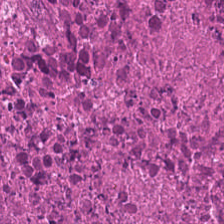H&E stain; brightfield microscopy; 224×224 px tile.
The tissue here is necrotic debris.
